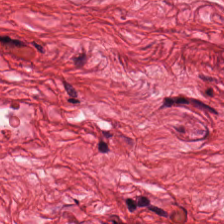Histology — smooth-muscle tissue.
